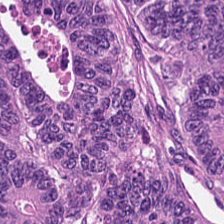H&E stain. Predominantly tumor epithelium.
